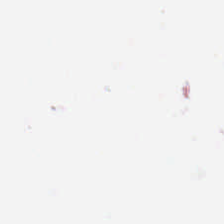Hematoxylin and eosin. Empty field — background.
